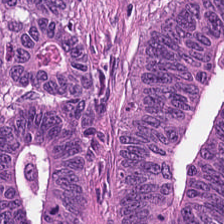Tissue: tumor epithelium.
